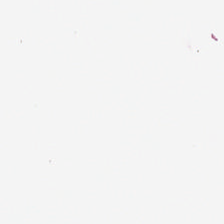Whole-slide-image patch. 224×224 px patch. Hematoxylin and eosin. Field content = background (no tissue).
